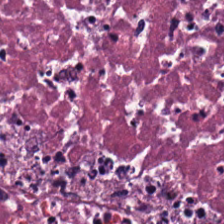FFPE. Brightfield microscopy. H&E. The tissue here is cellular debris.
